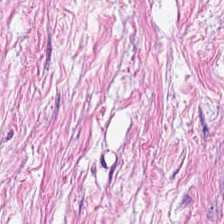H&E. WSI patch — The predominant tissue is tumor stroma.
